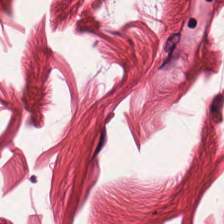224×224 px patch. Hematoxylin and eosin. Formalin-fixed paraffin-embedded section.
The predominant tissue is smooth muscle.
